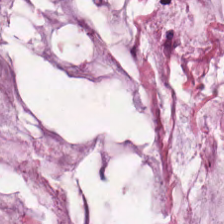H&E-stained section; the field shows extracellular mucin.
